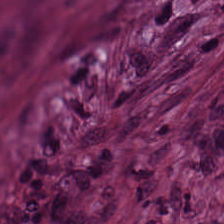Desmoplastic stroma.
